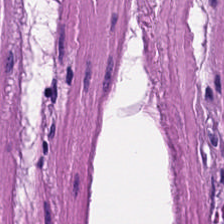H&E stain. The predominant tissue is smooth muscle.
